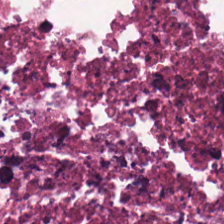H&E; FFPE; brightfield microscopy. Q: Classify this patch.
A: It is debris.
